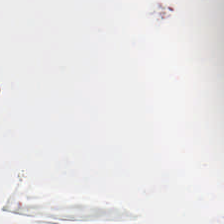Hematoxylin and eosin.
Q: What is shown here?
A: This is background.
